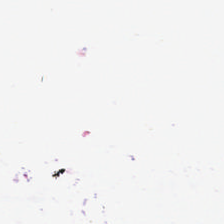Hematoxylin and eosin.
Impression — empty background.
